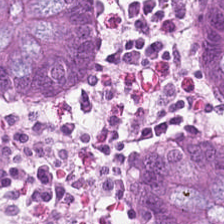Hematoxylin and eosin — This patch shows normal colonic mucosa.
